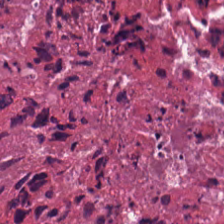Stain: hematoxylin-and-eosin stained section.
Predominant tissue: necrotic debris.
